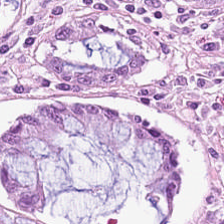The tissue is normal colonic mucosa.
